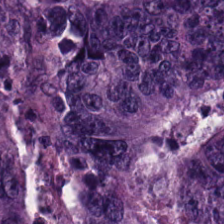H&E-stained section; the field shows adenocarcinoma.
